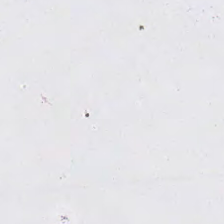Hematoxylin-and-eosin stained section. 224×224 pixel tile. Brightfield microscopy — Classification = empty background.
